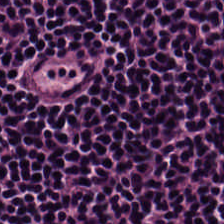Stain: H&E stain.
Resolution: 20× equivalent magnification.
Classification: lymphocyte aggregate.
